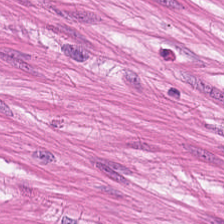0.5 microns per pixel; H&E stain — Classification = muscularis.
